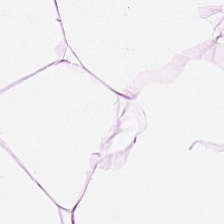Hematoxylin and eosin — Finding — adipose.
